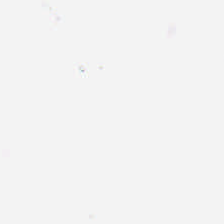Field content = empty background.
